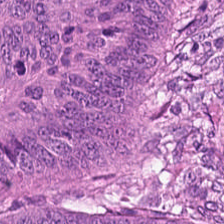Stain: H&E stain.
Tissue: adenocarcinoma.
